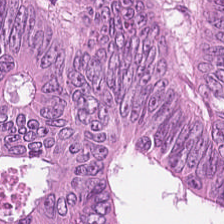H&E-stained tissue section.
Classification: colorectal adenocarcinoma.
